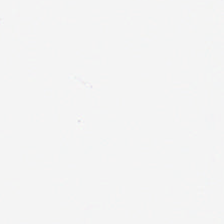0.5 µm per pixel. Hematoxylin-and-eosin stained section — Q: What does this patch show?
A: Background.
